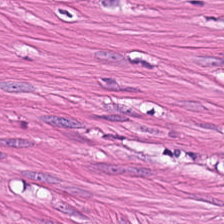H&E stain. Histology → smooth muscle.
